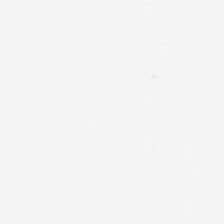0.5 µm per pixel. H&E. FFPE.
No tissue present; background only.
